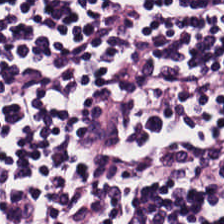H&E. The tissue here is lymphocyte aggregate.
